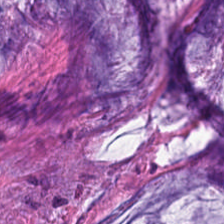0.5 µm/px; formalin-fixed paraffin-embedded section; H&E-stained tissue section. The tissue here is mucus.
